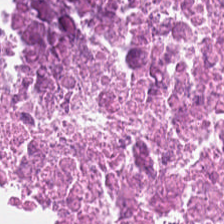Tissue type — cellular debris.
